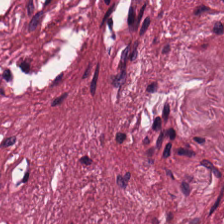Hematoxylin and eosin — Tumor stroma.
